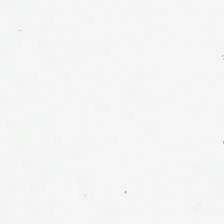FFPE; hematoxylin and eosin — {"content": "background (no tissue)"}
